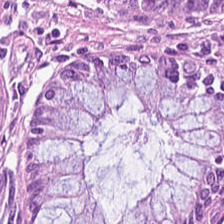H&E stain. Q: What does this patch show?
A: Normal colonic mucosa.
